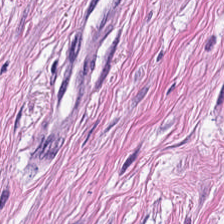H&E stain · 224×224 pixel tile — This field is muscularis.
